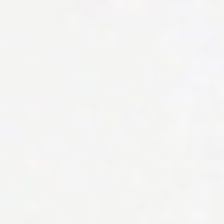Stain: H&E-stained tissue section.
Field content: background.
